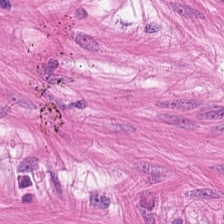H&E; FFPE.
Histology — smooth muscle.
